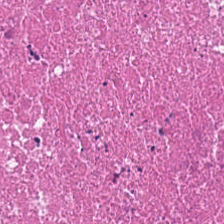20× equivalent magnification; hematoxylin and eosin — Predominantly cellular debris.
